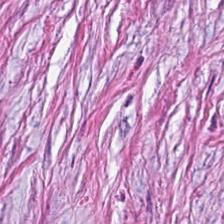Hematoxylin and eosin.
{"tissue_type": "cancer-associated stroma"}
